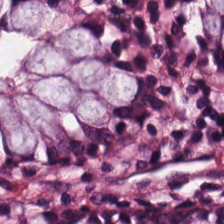Stain: H&E-stained tissue section.
Predominant tissue: normal colonic mucosa.
